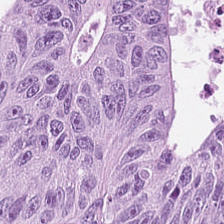Hematoxylin-and-eosin section: malignant epithelium.
